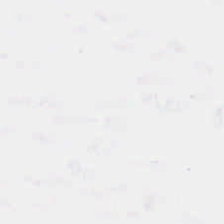224×224 px tile. FFPE. Hematoxylin-and-eosin stained section — Q: What is shown here?
A: The field shows background.
